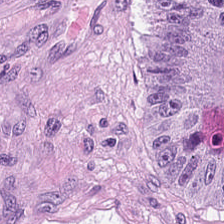224×224 px patch · H&E stain. Q: Identify the tissue.
A: The field shows colorectal adenocarcinoma epithelium.
